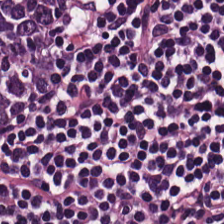224×224 px patch · H&E-stained tissue section. This field is lymphoid infiltrate.
